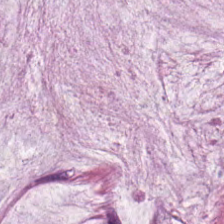H&E-stained tissue section · FFPE · 0.5 µm/px.
The tissue here is extracellular mucin.
